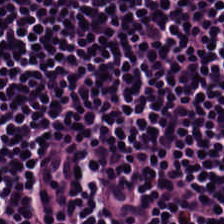Hematoxylin and eosin. Q: What type of tissue is this?
A: The field shows lymphoid infiltrate.
